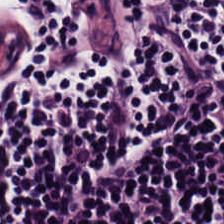H&E stain.
{"tissue_type": "lymphocytic infiltrate"}
